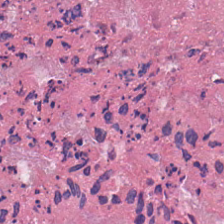H&E — The predominant tissue is cellular debris.
